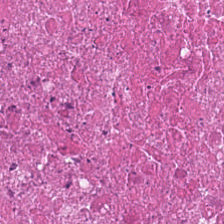H&E. This field is debris.
